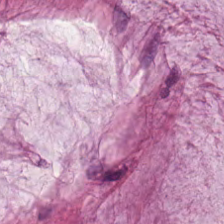Stain: hematoxylin-and-eosin stained section.
Tissue type: extracellular mucin.
